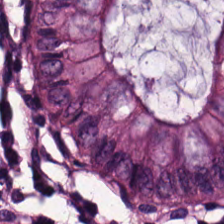Normal colonic mucosa.
